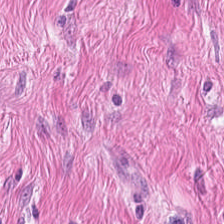H&E stain.
Finding — muscularis.
